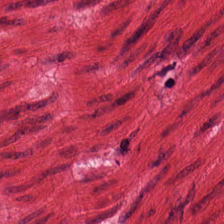H&E-stained tissue section. 0.5 µm per pixel. Showing muscularis.
